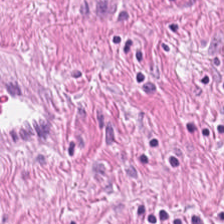The classification is smooth muscle.
